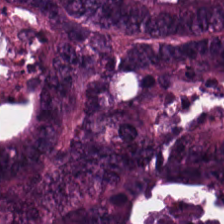H&E stain — Predominantly malignant epithelium.
